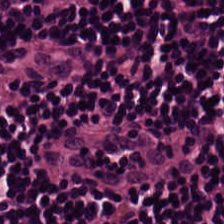H&E — Tissue — lymphocyte aggregate.
